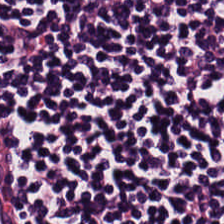FFPE tissue section · hematoxylin and eosin. This field is lymphocyte aggregate.
